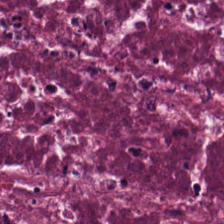Hematoxylin-and-eosin stained section. Predominant tissue — necrotic debris.
